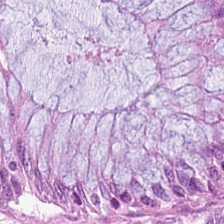FFPE. Hematoxylin-and-eosin stained section.
{"tissue_type": "non-neoplastic colon mucosa"}
